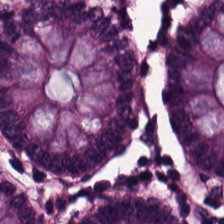H&E.
The predominant tissue is benign colonic mucosa.
